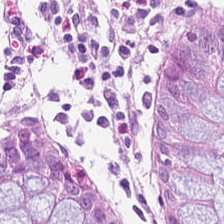Hematoxylin and eosin.
This field is normal colon mucosa.
